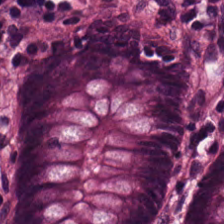Hematoxylin-and-eosin stained section. FFPE tissue section. 224×224 px tile. Normal colon mucosa.
